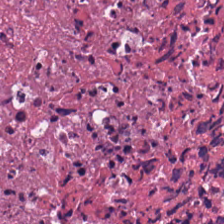0.5 µm per pixel. 224×224 px tile. Hematoxylin-and-eosin stained section. The tissue here is debris.
